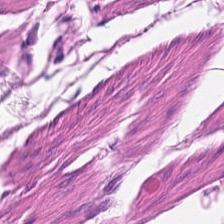H&E stain — Tissue type — smooth muscle.
